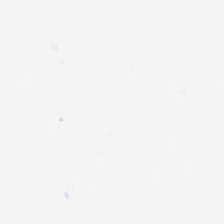Brightfield microscopy · H&E-stained tissue section — Q: What is shown here?
A: It is background (no tissue).
